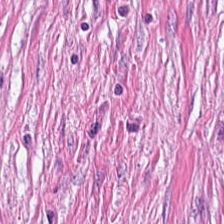Stain: hematoxylin-and-eosin stained section.
Acquisition: brightfield microscopy.
Preparation: formalin-fixed paraffin-embedded section.
Tissue class: tumor-associated stroma.
